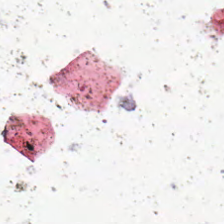Content — no tissue.
